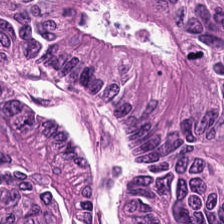This field is malignant epithelium.
